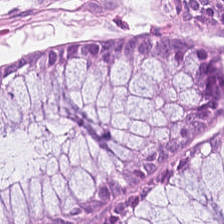Hematoxylin and eosin. The tissue type is non-neoplastic colon mucosa.
